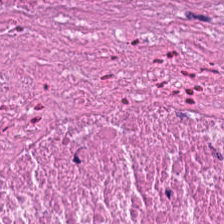H&E. This patch shows cellular debris.
